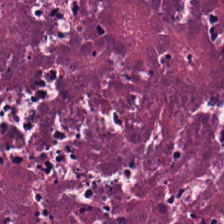Showing debris.
